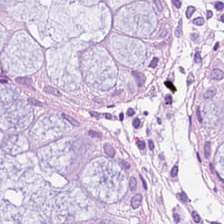Classification — non-neoplastic colon mucosa.
